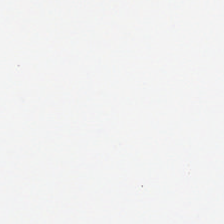Stain: hematoxylin and eosin.
Classification: empty background.
